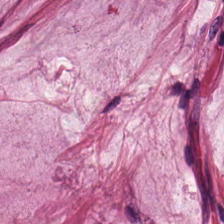Q: What is the predominant tissue type?
A: This is mucin.
